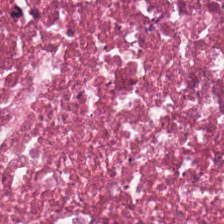H&E-stained tissue section — Tissue class: necrotic debris.
